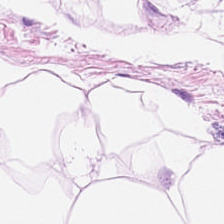Tissue = fat tissue.
